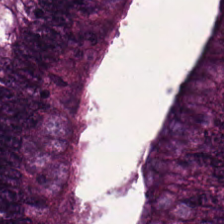H&E. Predominant tissue — colorectal adenocarcinoma.
